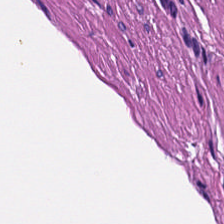Hematoxylin-and-eosin stained section. Q: What is the predominant tissue type?
A: It is smooth muscle.
